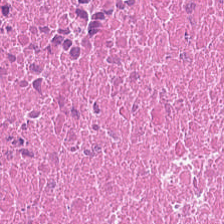FFPE; H&E stain — {"tissue_type": "necrotic debris"}
